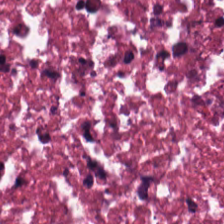H&E stain.
Impression → debris.
